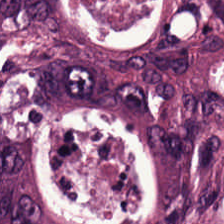0.5 µm/px. H&E-stained tissue section. Formalin-fixed paraffin-embedded section. Predominant tissue — malignant epithelium.
